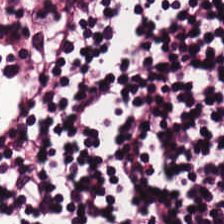224×224 px patch · whole-slide-image patch · H&E-stained tissue section. Tissue class: lymphocyte aggregate.
